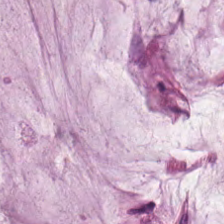H&E — extracellular mucin.
